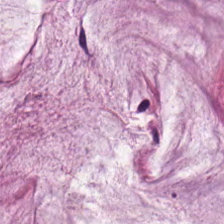Whole-slide-image patch. Hematoxylin and eosin. Formalin-fixed paraffin-embedded section — Q: What is shown here?
A: It is mucin.
